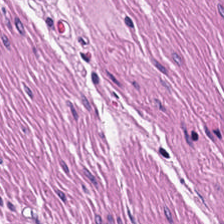Hematoxylin-and-eosin stained section — Showing smooth-muscle tissue.
